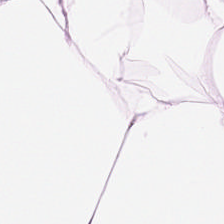H&E-stained tissue section.
Showing fat tissue.
